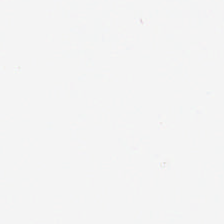Hematoxylin-and-eosin stained section.
Content = empty background.
